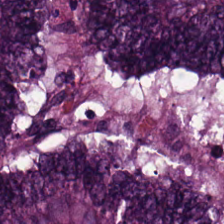Hematoxylin-and-eosin stained section.
Colorectal adenocarcinoma.
